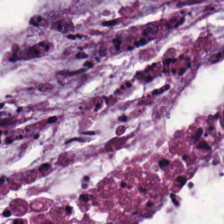Hematoxylin and eosin.
Tissue type = extracellular mucin.
